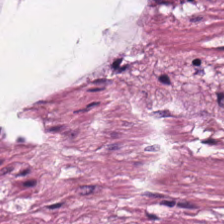Stain: hematoxylin and eosin.
Predominant tissue: mucus.
